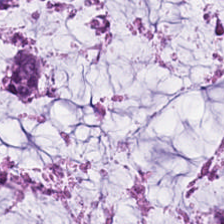0.5 µm/px · hematoxylin-and-eosin stained section · formalin-fixed paraffin-embedded section — {"tissue_type": "mucus"}
